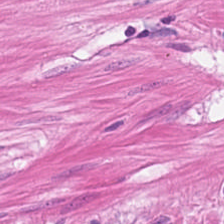Predominant tissue — muscularis.
